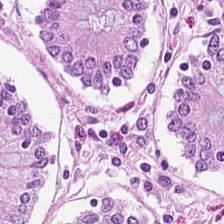H&E stain — Tissue = normal colon mucosa.
